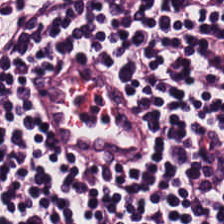H&E-stained tissue section; 224×224 px patch; 20× equivalent magnification. Q: What is the predominant tissue type?
A: It is lymphocytic infiltrate.
